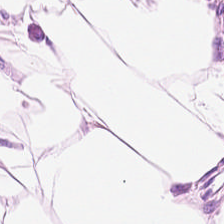H&E stain — {"tissue_type": "adipose"}
